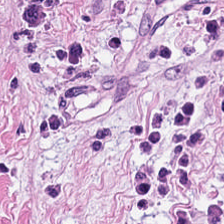H&E stain; 224×224 px tile — The predominant tissue is desmoplastic stroma.
